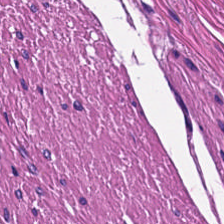This field is smooth-muscle tissue.
